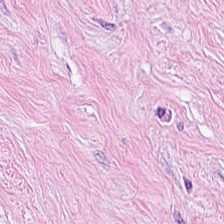Whole-slide-image patch. H&E-stained tissue section — Tissue — tumor stroma.
